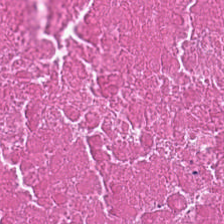The predominant tissue is necrotic debris.
